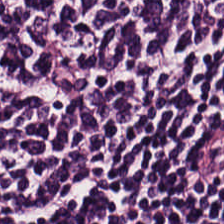Showing lymphocytes.
